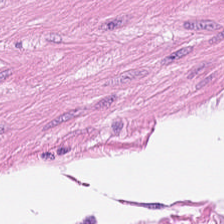H&E-stained tissue section.
Q: What is shown here?
A: Muscularis.
